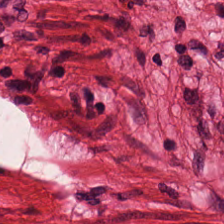Classification: muscularis.
